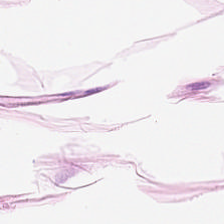Hematoxylin-and-eosin stained section. 20× equivalent magnification.
Classification: adipocytes.
